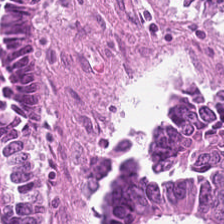H&E — This field is tumor epithelium.
